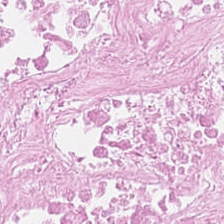H&E stain · brightfield — The classification is necrotic debris.
